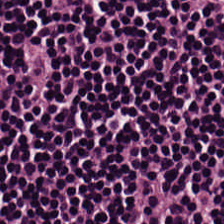Hematoxylin-and-eosin section: lymphoid infiltrate.
